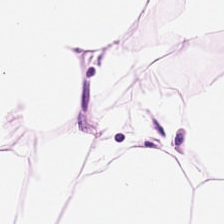20× equivalent magnification · hematoxylin-and-eosin stained section · FFPE. This field is adipose.
